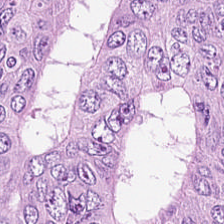H&E — The predominant tissue is tumor epithelium.
